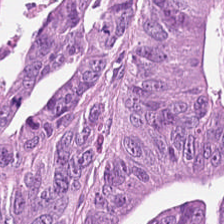Hematoxylin and eosin.
The tissue type is malignant epithelium.
